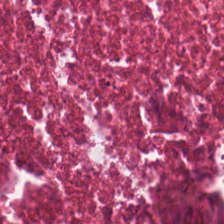Hematoxylin and eosin. Debris.
